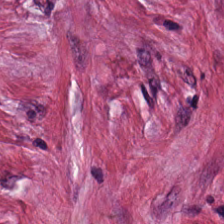This field is desmoplastic stroma.
